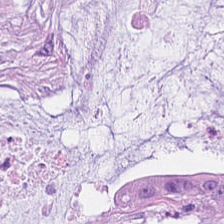H&E stain; brightfield — Q: What does this patch show?
A: The field shows mucus.
